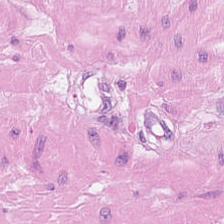Stain: H&E stain.
Predominant tissue: smooth-muscle tissue.
